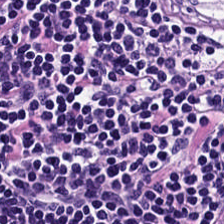H&E-stained tissue section — Predominantly lymphoid infiltrate.
